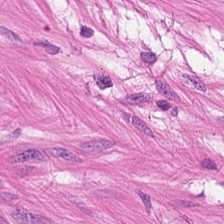H&E-stained tissue section. 0.5 microns per pixel — Tissue class: muscularis.
